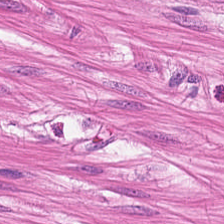Hematoxylin-and-eosin stained section. 0.5 µm/px.
Showing smooth muscle.
